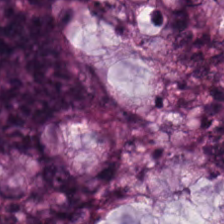224×224 pixel tile. H&E-stained tissue section. This field is adenocarcinoma.
